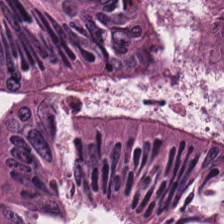Hematoxylin-and-eosin stained section. Q: What is shown here?
A: It is adenocarcinoma.
